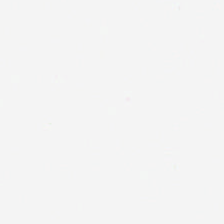Hematoxylin-and-eosin stained section. Empty field — no tissue.
